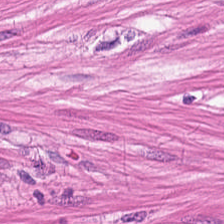H&E-stained tissue section. Histology — smooth muscle.
